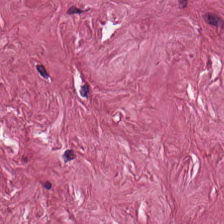H&E stain · 0.5 µm per pixel · WSI patch.
{"tissue_type": "desmoplastic stroma"}
